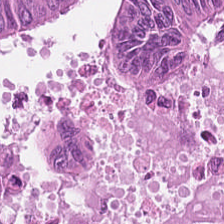This field is colorectal adenocarcinoma epithelium.
